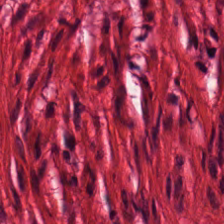Hematoxylin-and-eosin stained section.
Showing smooth-muscle tissue.
